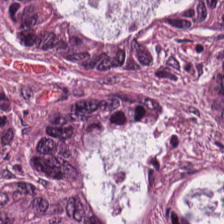Histology — tumor epithelium.
